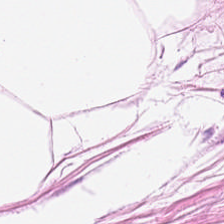H&E-stained tissue section.
Impression — adipocytes.
